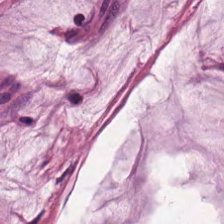Whole-slide-image patch. H&E stain.
The predominant tissue is mucus.
